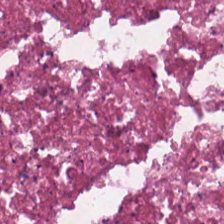224×224 px tile. H&E — {"tissue_type": "necrotic debris"}
